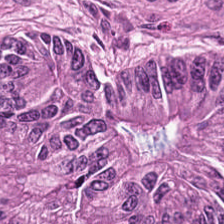H&E-stained tissue section — {"tissue_type": "tumor epithelium"}
